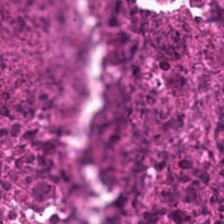Hematoxylin-and-eosin stained section — Showing debris.
